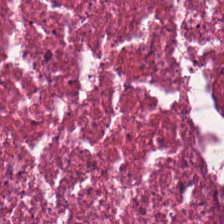Hematoxylin and eosin. WSI patch. Q: What tissue type is shown here?
A: The field shows cellular debris.
